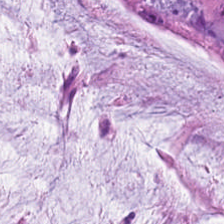The tissue here is mucus.
